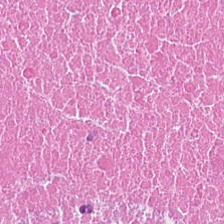Hematoxylin and eosin; 0.5 microns per pixel — Q: What does this patch show?
A: This is cellular debris.
